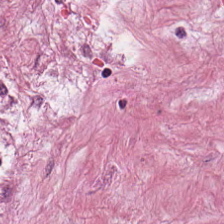0.5 microns per pixel. Hematoxylin and eosin. Q: What is shown here?
A: The field shows tumor stroma.
